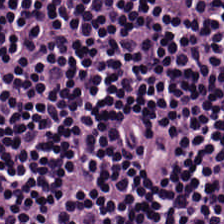0.5 microns per pixel; formalin-fixed paraffin-embedded section; hematoxylin and eosin — This patch shows lymphocyte aggregate.
